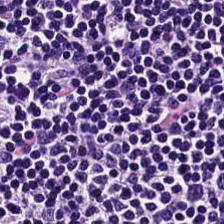The classification is lymphoid infiltrate.
